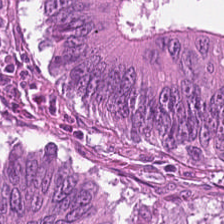FFPE tissue section · brightfield · H&E.
Q: Classify this patch.
A: Tumor epithelium.
